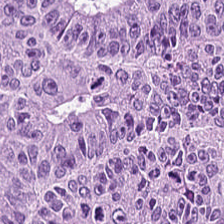H&E.
Showing malignant epithelium.
